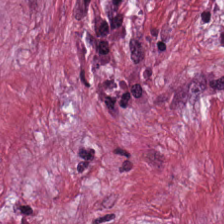Formalin-fixed paraffin-embedded section · H&E stain.
{"tissue_type": "desmoplastic stroma"}
